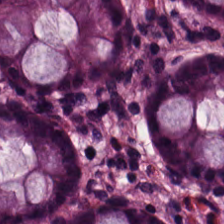Stain: hematoxylin and eosin.
Tissue class: benign colonic mucosa.
